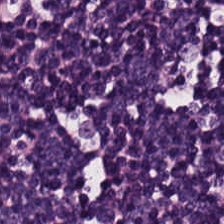H&E.
Classification = lymphocyte aggregate.
